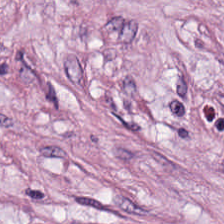Hematoxylin-and-eosin stained section — Predominant tissue = desmoplastic stroma.
